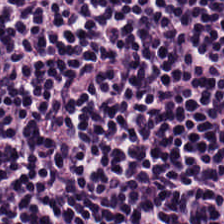Brightfield microscopy. Hematoxylin and eosin.
Q: What tissue is shown?
A: This is lymphoid infiltrate.
